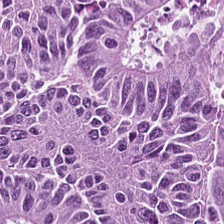Hematoxylin-and-eosin stained section.
{"tissue_type": "adenocarcinoma"}
